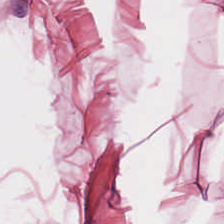Histology → adipose tissue.
